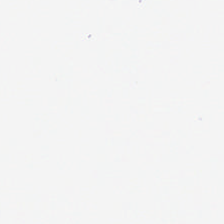H&E-stained tissue section. 0.5 microns per pixel. Finding → background.
